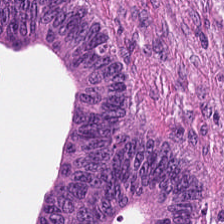H&E.
This field is tumor epithelium.
